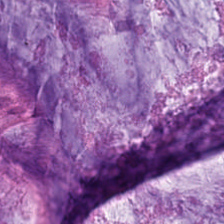H&E. Predominantly extracellular mucin.
